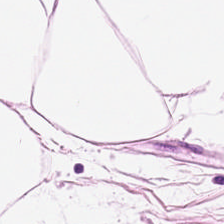H&E patch showing adipose.
